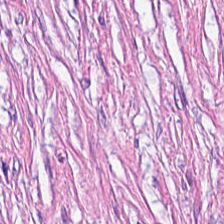Predominantly tumor-associated stroma.
